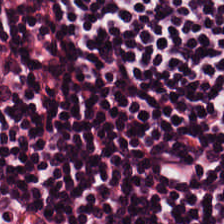Q: Identify the tissue.
A: This is lymphocytic infiltrate.
